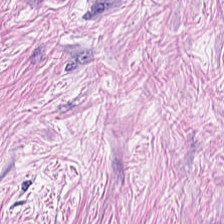Hematoxylin-and-eosin stained section · 224×224 px patch · 0.5 microns per pixel.
This patch shows tumor-associated stroma.
